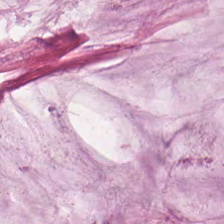H&E — extracellular mucin.
